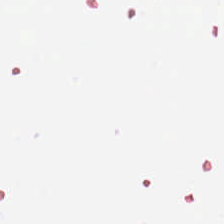Background.
